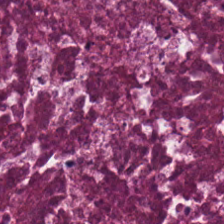H&E-stained tissue section.
The tissue class is necrotic debris.
